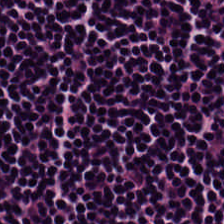Hematoxylin and eosin. This patch shows lymphocytes.
